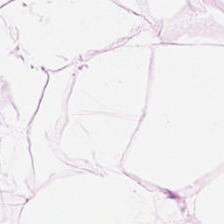This field is fat tissue.
